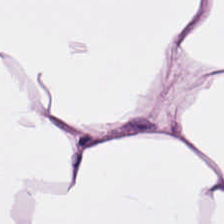Tissue class — adipose tissue.
